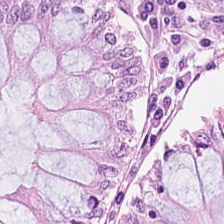0.5 µm/px; formalin-fixed paraffin-embedded section; H&E stain — The tissue here is normal colonic mucosa.
